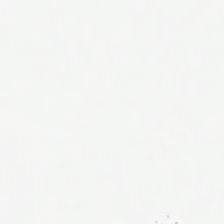This field is background (no tissue).
